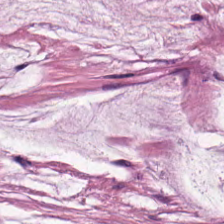Hematoxylin and eosin. This patch shows extracellular mucin.
